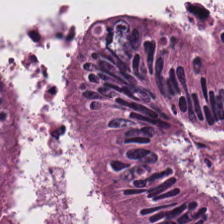WSI patch · hematoxylin-and-eosin stained section.
The predominant tissue is tumor epithelium.
